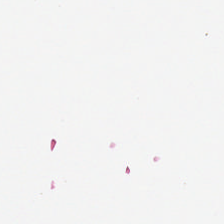Empty field — empty background.
